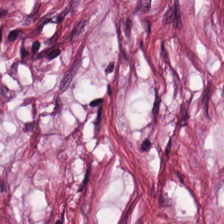Brightfield microscopy; H&E.
Q: What tissue type is shown here?
A: This is tumor stroma.
